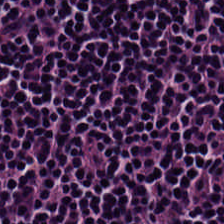H&E. 224×224 px patch.
Finding — lymphocytic infiltrate.
